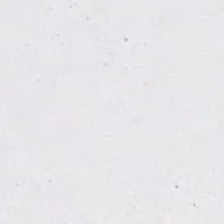H&E. WSI patch. 20× equivalent magnification. The classification is no tissue.
